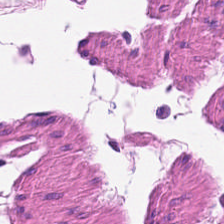Hematoxylin and eosin.
Q: What is the predominant tissue type?
A: This is smooth-muscle tissue.
